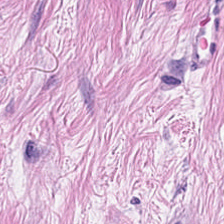The predominant tissue is cancer-associated stroma.
